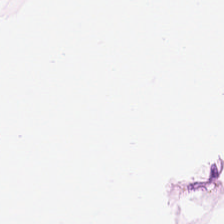Hematoxylin-and-eosin stained section — {"tissue_type": "fat tissue"}
